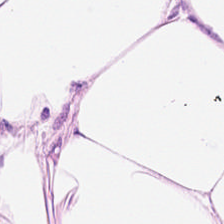Brightfield · hematoxylin and eosin — Classification — fat tissue.
